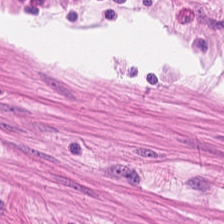H&E stain.
Finding — smooth-muscle tissue.
